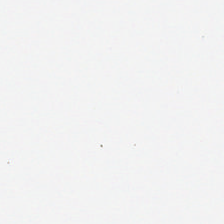Classification = background.
